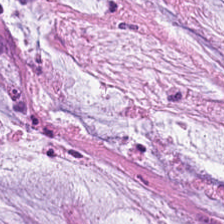Hematoxylin-and-eosin stained section · 0.5 microns per pixel — Predominantly extracellular mucin.
